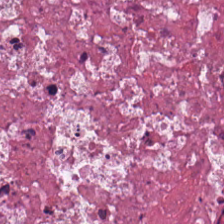H&E-stained tissue section — Tissue type = debris.
